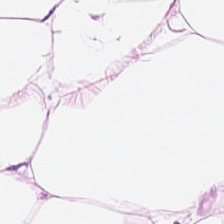H&E-stained section; the field shows adipose.
